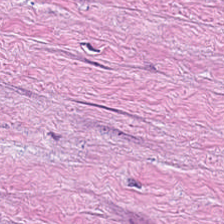H&E.
Impression → tumor stroma.
